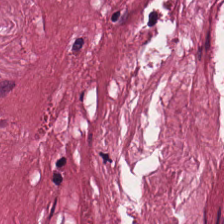H&E-stained tissue section — Predominantly desmoplastic stroma.
